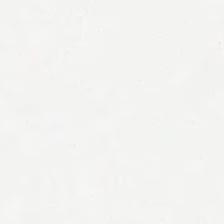This patch shows background.
